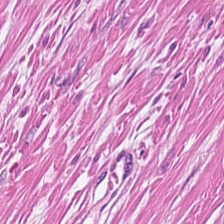H&E stain. Predominantly smooth-muscle tissue.
